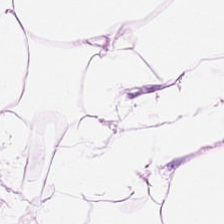FFPE tissue section; H&E-stained tissue section. Q: What is shown here?
A: The field shows adipocytes.
